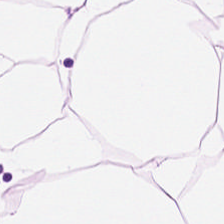Hematoxylin and eosin · 224×224 px patch · FFPE tissue section.
Showing fat tissue.
